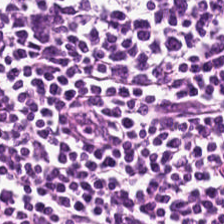H&E stain.
Tissue type = lymphoid infiltrate.
